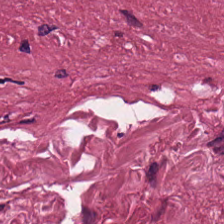Formalin-fixed paraffin-embedded section. Hematoxylin and eosin. Q: What tissue is shown?
A: Tumor-associated stroma.
